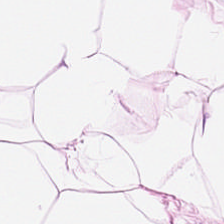Hematoxylin-and-eosin stained section; FFPE. Q: What tissue is shown?
A: It is fat tissue.
